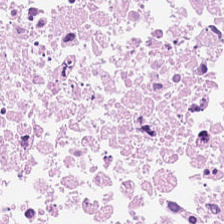The tissue is necrotic debris.
